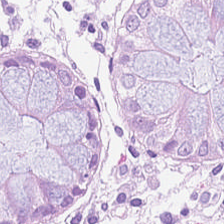H&E-stained tissue section.
The tissue here is non-neoplastic colon mucosa.
